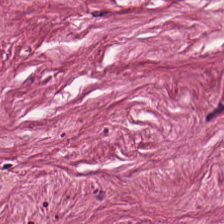Q: Classify this patch.
A: Tumor stroma.
